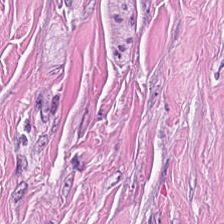H&E.
Showing cancer-associated stroma.
